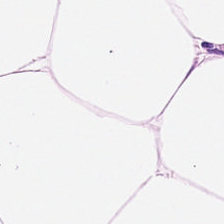Stain: H&E.
Preparation: FFPE.
Tissue: adipose.
